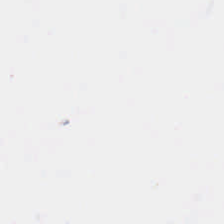H&E stain. Background — no tissue in this field.
